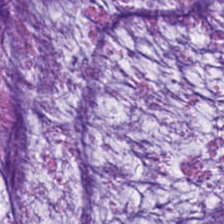H&E — Extracellular mucin.
